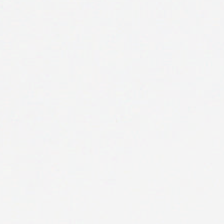Hematoxylin and eosin. Q: What is shown in this field?
A: Background (no tissue).
